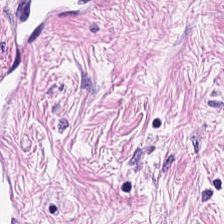H&E. The predominant tissue is tumor stroma.
